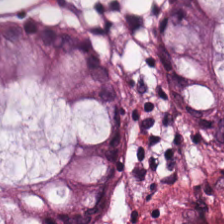H&E stain. The predominant tissue is benign colonic mucosa.
